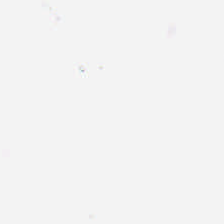Hematoxylin and eosin. 224×224 px tile.
Background — no tissue in this field.
